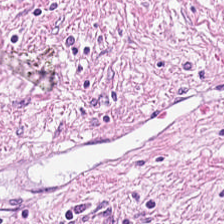This field is cancer-associated stroma.
